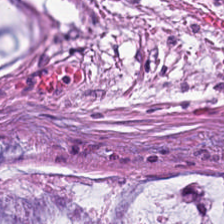H&E stain.
The tissue here is mucus.
